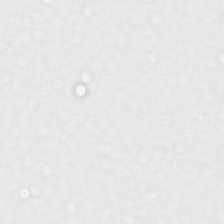0.5 µm per pixel · H&E stain.
Q: What is shown in this field?
A: It is background (no tissue).
